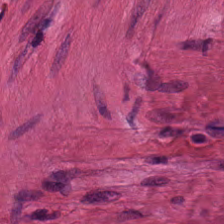Stain: H&E.
Predominant tissue: muscularis.
